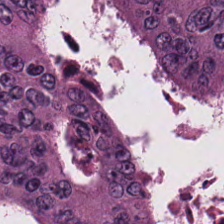Hematoxylin-and-eosin stained section — This patch shows adenocarcinoma.
